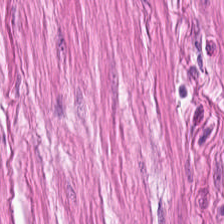Hematoxylin-and-eosin stained section · formalin-fixed paraffin-embedded section — Finding — smooth muscle.
